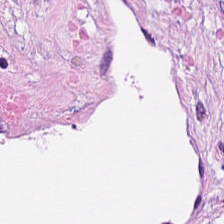H&E · 224×224 pixel tile. The tissue type is cancer-associated stroma.
